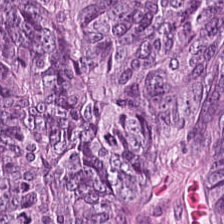Hematoxylin-and-eosin stained section — Q: What is the predominant tissue type?
A: Adenocarcinoma.
